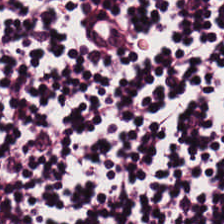H&E; whole-slide-image patch.
Predominantly lymphocytic infiltrate.
